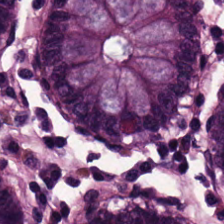Hematoxylin and eosin · FFPE · 224×224 px tile — Q: What type of tissue is this?
A: The field shows non-neoplastic colon mucosa.
